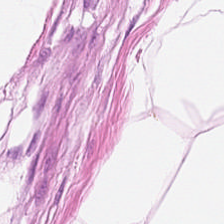H&E-stained tissue section. WSI patch. 224×224 pixel tile — Predominantly adipose.
